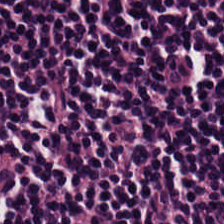H&E.
Lymphocytes.
